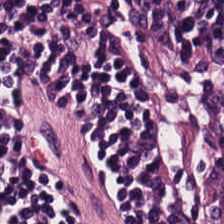Stain: hematoxylin and eosin.
Preparation: FFPE tissue section.
Tissue: lymphocytes.
